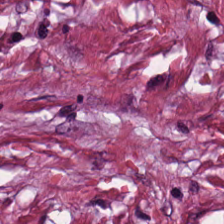Whole-slide-image patch; hematoxylin-and-eosin stained section; 0.5 µm per pixel. The tissue here is tumor-associated stroma.
